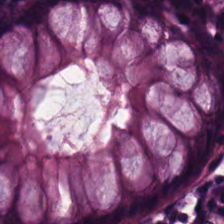H&E; brightfield microscopy; formalin-fixed paraffin-embedded section — Predominantly benign colonic mucosa.
